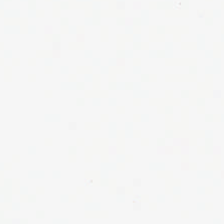Hematoxylin-and-eosin stained section. Finding → no tissue.
